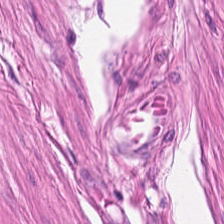Hematoxylin and eosin. The tissue is smooth-muscle tissue.
